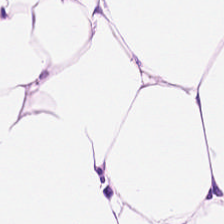20× equivalent magnification. H&E. Whole-slide-image patch — Predominantly fat tissue.
